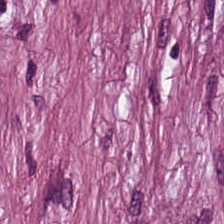FFPE; 224×224 px tile; H&E stain.
Predominant tissue — cancer-associated stroma.
